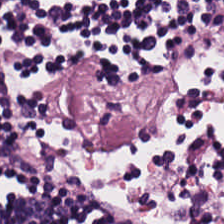Stain: H&E.
Predominant tissue: lymphocytic infiltrate.
